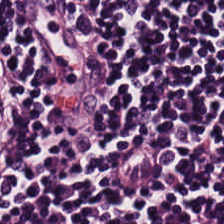Hematoxylin and eosin. FFPE tissue section. Impression — lymphocyte aggregate.
